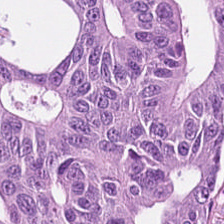H&E.
Tissue class — malignant epithelium.
